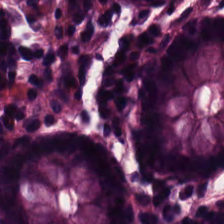H&E-stained tissue section showing normal colonic mucosa.
